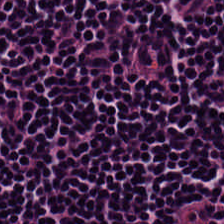H&E.
The tissue type is lymphocyte aggregate.
